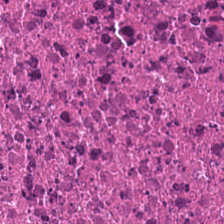Stain: H&E-stained tissue section.
Tissue: cellular debris.
